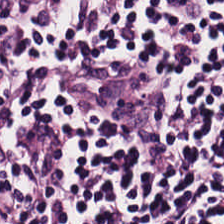H&E. Predominantly lymphocytic infiltrate.
